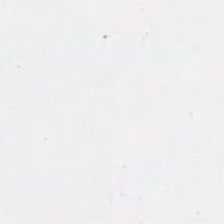Formalin-fixed paraffin-embedded section; hematoxylin and eosin. Content — background (no tissue).
